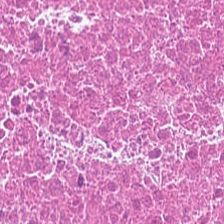Hematoxylin-and-eosin stained section — Finding → debris.
